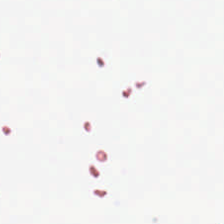Background — no tissue in this field.
